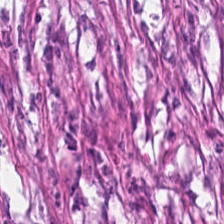Hematoxylin and eosin. 20× equivalent magnification. FFPE. Q: What is shown here?
A: Cancer-associated stroma.
